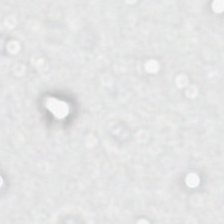{"content": "background"}
